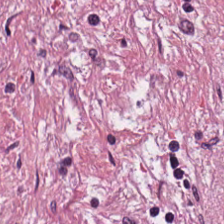FFPE tissue section · hematoxylin and eosin. Q: What is the predominant tissue type?
A: It is cancer-associated stroma.
